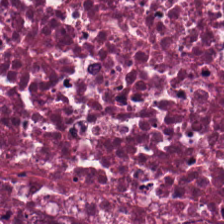Stain: H&E-stained tissue section.
Preparation: formalin-fixed paraffin-embedded section.
Predominant tissue: cellular debris.
